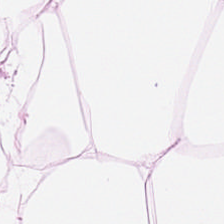Stain: hematoxylin-and-eosin stained section.
Tissue: adipose.
